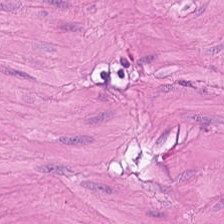Stain: H&E.
Classification: smooth-muscle tissue.
